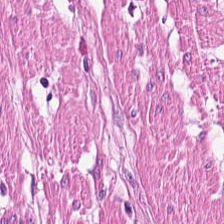Hematoxylin and eosin. This field is smooth muscle.
